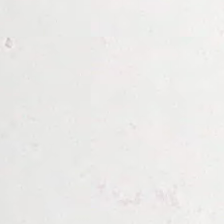No tissue.
